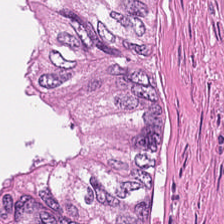H&E-stained tissue section. Showing debris.
